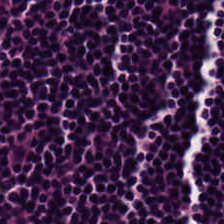H&E. The predominant tissue is lymphocytes.
